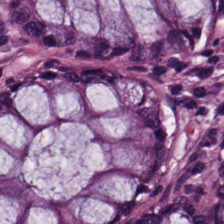0.5 µm/px · H&E-stained tissue section. Normal colonic mucosa.
